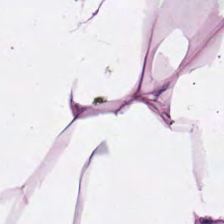H&E stain. 224×224 pixel tile — Q: What is the predominant tissue type?
A: It is adipocytes.
